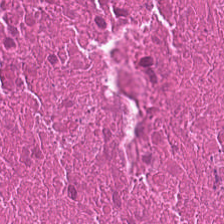H&E — This patch shows cellular debris.
